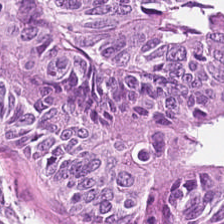20× equivalent magnification; hematoxylin-and-eosin stained section. Tissue class — malignant epithelium.
